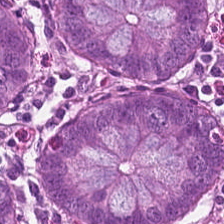Formalin-fixed paraffin-embedded section. H&E.
Classification: non-neoplastic colon mucosa.
